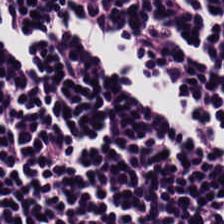The tissue type is lymphocytic infiltrate.
